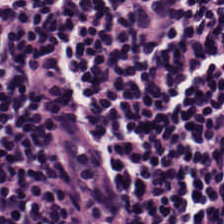0.5 microns per pixel · H&E.
Tissue — lymphocyte aggregate.
